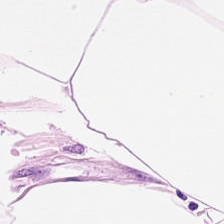0.5 µm per pixel · hematoxylin-and-eosin stained section.
Tissue type — adipose.
